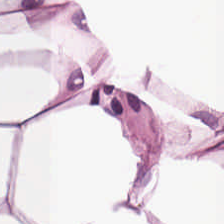Hematoxylin and eosin; 20× equivalent magnification; whole-slide-image patch. Histology → adipocytes.
